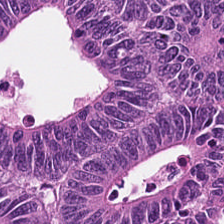0.5 microns per pixel. H&E. Whole-slide-image patch. Finding — adenocarcinoma.
